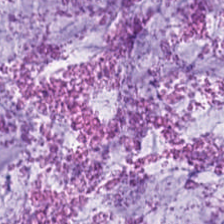{"tissue_type": "mucus"}
